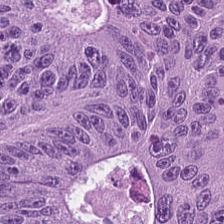Hematoxylin and eosin. Brightfield. Finding — tumor epithelium.
